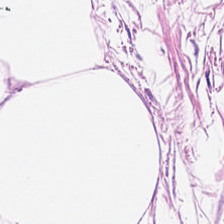H&E. Adipose tissue.
